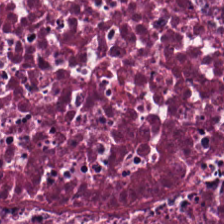H&E stain — Q: What type of tissue is this?
A: This is debris.
